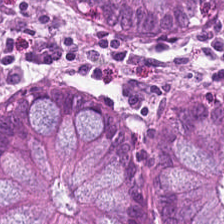Hematoxylin-and-eosin stained section; FFPE; brightfield microscopy — Histology — benign colonic mucosa.
